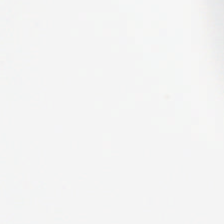0.5 µm per pixel; H&E stain.
Content = no tissue.
